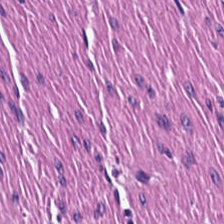H&E-stained tissue section. 224×224 px tile. WSI patch — The predominant tissue is muscularis.
